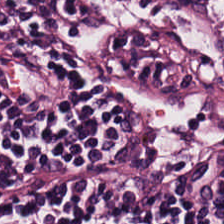H&E-stained tissue section — Showing lymphoid infiltrate.
